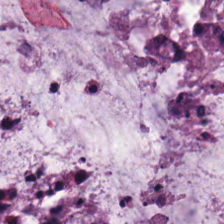224×224 pixel tile; H&E stain.
Q: What type of tissue is this?
A: Mucus.
